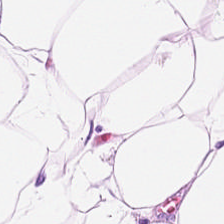H&E stain. {"tissue_type": "adipose"}
